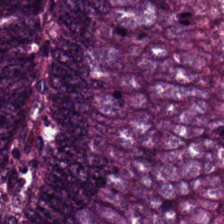The predominant tissue is tumor epithelium.
